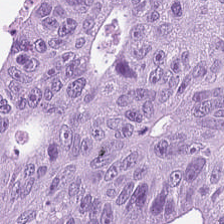Hematoxylin-and-eosin stained section; 224×224 pixel tile. Q: What is shown in this field?
A: Colorectal adenocarcinoma.
